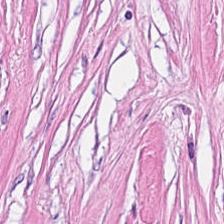H&E stain; 20× equivalent magnification; 224×224 px patch.
The tissue here is tumor-associated stroma.
